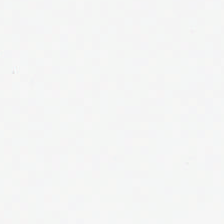No tissue present; background only.
